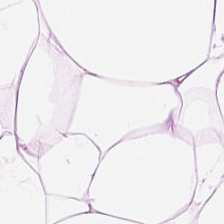H&E-stained tissue section; brightfield.
Tissue class: fat tissue.
